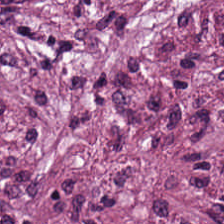Hematoxylin-and-eosin stained section. Impression — desmoplastic stroma.
